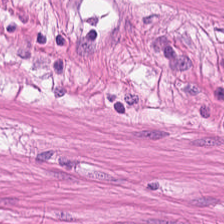224×224 px patch; 20× equivalent magnification; H&E-stained tissue section — Tissue class = smooth muscle.
